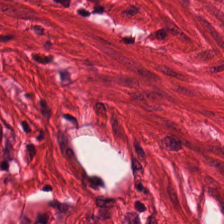Hematoxylin and eosin — Tissue type — smooth muscle.
